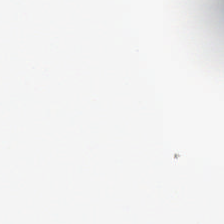0.5 µm per pixel; hematoxylin and eosin; 224×224 pixel tile — The field content is background (no tissue).
